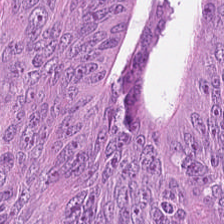Q: What is shown in this field?
A: Malignant epithelium.
